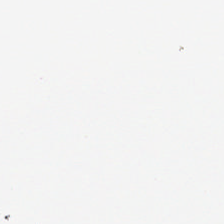0.5 microns per pixel. Hematoxylin-and-eosin stained section. FFPE.
Classification = empty background.
